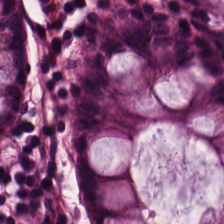Stain: H&E-stained tissue section.
Tissue class: non-neoplastic colon mucosa.
